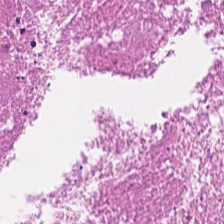The tissue here is necrotic debris.
